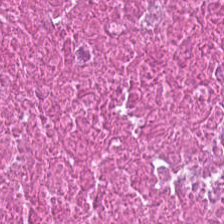Q: What type of tissue is this?
A: The field shows cellular debris.
